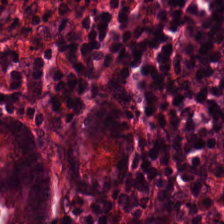Hematoxylin-and-eosin stained section. Predominantly non-neoplastic colon mucosa.
